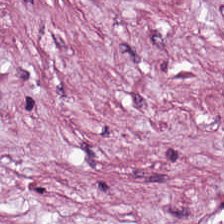224×224 px tile; hematoxylin-and-eosin stained section.
Classification — desmoplastic stroma.
